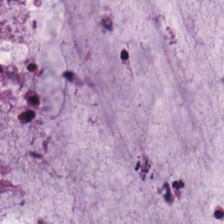Stain: H&E.
Acquisition: whole-slide-image patch.
Tissue class: mucin.
